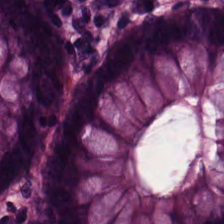H&E; FFPE tissue section; WSI patch. Impression — normal colon mucosa.
